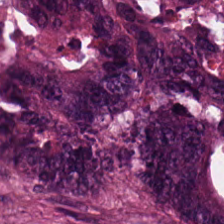H&E-stained tissue section; 20× equivalent magnification. The predominant tissue is tumor epithelium.
